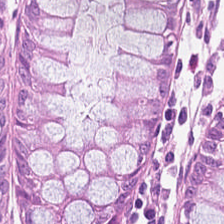Hematoxylin and eosin — The predominant tissue is normal colon mucosa.
